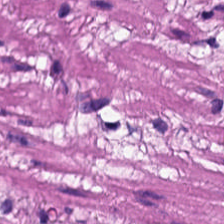H&E-stained tissue section — This patch shows smooth-muscle tissue.
